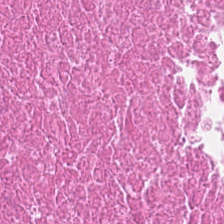Q: What type of tissue is this?
A: Necrotic debris.
